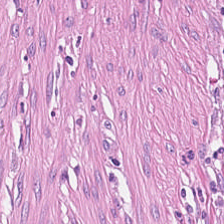H&E — tumor-associated stroma.
